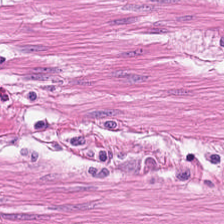Brightfield. Hematoxylin and eosin. This patch shows smooth muscle.
